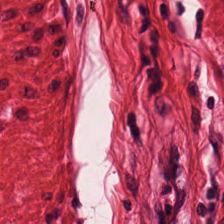Hematoxylin-and-eosin stained section; FFPE tissue section. The tissue type is muscularis.
